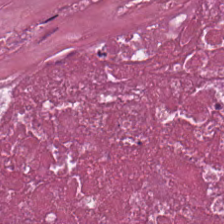Finding — cellular debris.
